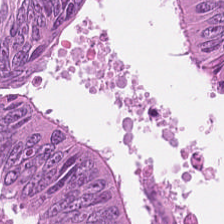Q: What type of tissue is this?
A: The field shows colorectal adenocarcinoma epithelium.
